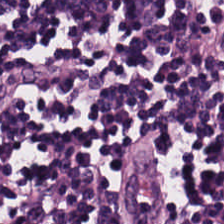H&E-stained tissue section. Finding — lymphocytes.
